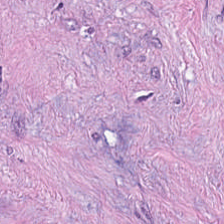Tumor-associated stroma.
